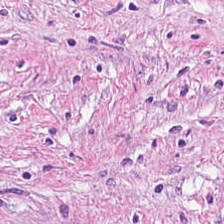Hematoxylin-and-eosin stained section. The tissue here is tumor-associated stroma.
